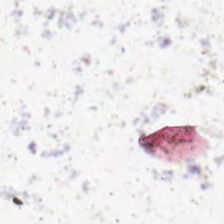224×224 px patch · H&E-stained tissue section.
This field is background (no tissue).
